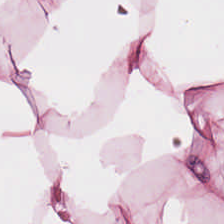H&E-stained tissue section. Showing adipose.
